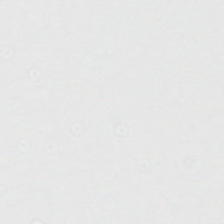Stain: H&E-stained tissue section.
Content: no tissue.
